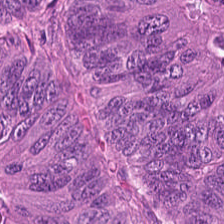Hematoxylin-and-eosin stained section. FFPE tissue section.
This field is malignant epithelium.
